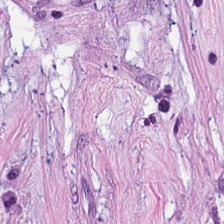Classification — cancer-associated stroma.
